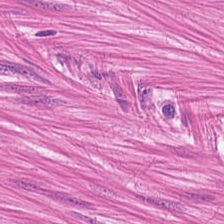Stain: H&E.
Tissue class: smooth muscle.
